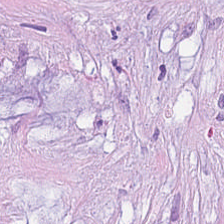Hematoxylin-and-eosin stained section. Impression → mucus.
